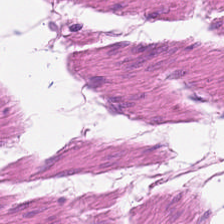Classification: smooth-muscle tissue.
